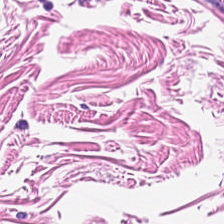Predominant tissue: smooth-muscle tissue.
